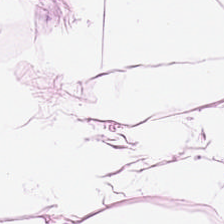Hematoxylin-and-eosin stained section — This patch shows adipose tissue.
